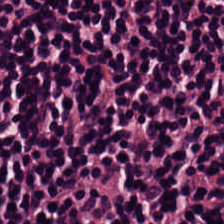H&E.
Q: What is shown in this field?
A: It is lymphocyte aggregate.
